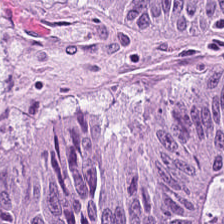{"tissue_type": "colorectal adenocarcinoma"}
